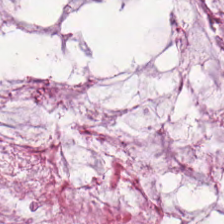Classification — mucus.
